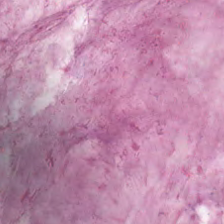Hematoxylin-and-eosin stained section. WSI patch. {"tissue_type": "mucin"}
